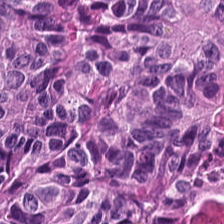H&E. This patch shows colorectal adenocarcinoma epithelium.
